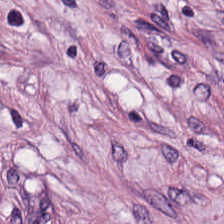Stain: hematoxylin and eosin.
Resolution: 0.5 µm per pixel.
Tissue: desmoplastic stroma.
